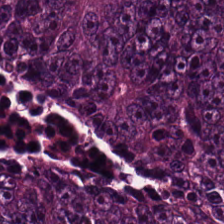H&E-stained tissue section · 224×224 px patch.
Predominantly colorectal adenocarcinoma epithelium.
